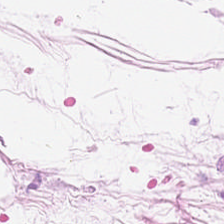The tissue is fat tissue.
